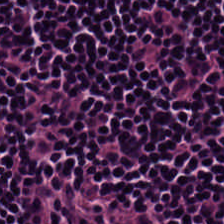This patch shows lymphocytes.
